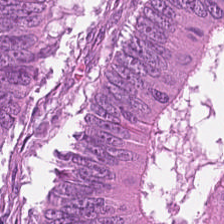Tissue type: malignant epithelium.
